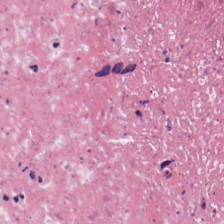H&E-stained tissue section. WSI patch. This patch shows debris.
